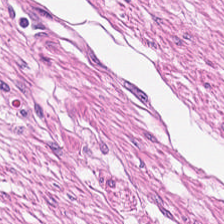Stain: H&E.
Tissue type: smooth-muscle tissue.
